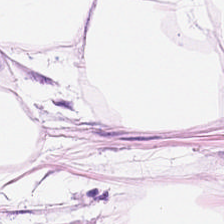This patch shows adipose.
